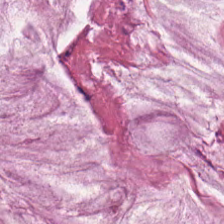Stain: H&E-stained tissue section.
Classification: mucin.
